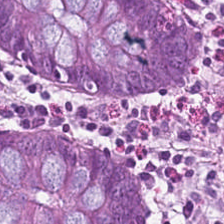Hematoxylin and eosin. Tissue type: non-neoplastic colon mucosa.
